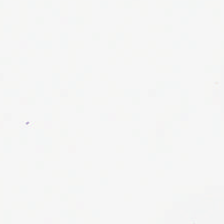{"content": "background"}
